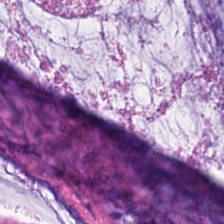H&E stain. This patch shows mucus.
